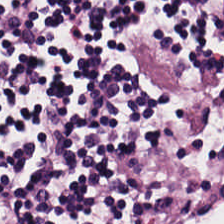The classification is lymphoid infiltrate.
